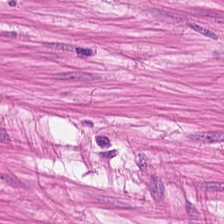H&E-stained tissue section; FFPE tissue section.
Predominantly muscularis.
